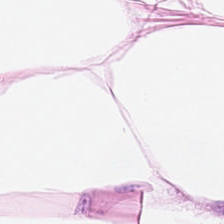H&E · 20× equivalent magnification. Tissue type — adipocytes.
